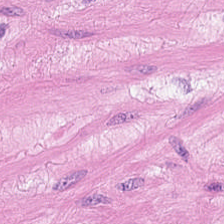H&E stain · 224×224 pixel tile — Classification: smooth-muscle tissue.
